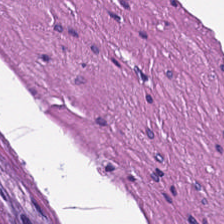Finding → smooth muscle.
